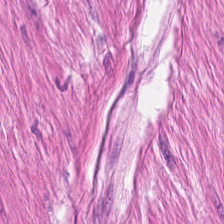Q: Classify this patch.
A: It is muscularis.
